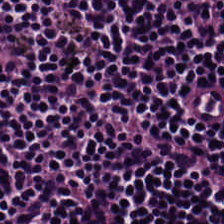{"tissue_type": "lymphoid infiltrate"}
